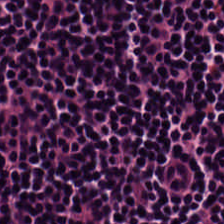Tissue — lymphocyte aggregate.
